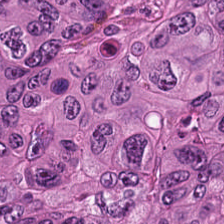H&E.
Predominantly colorectal adenocarcinoma.
